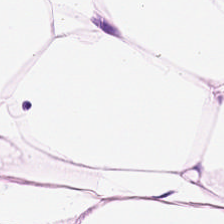Hematoxylin and eosin — Predominantly adipose tissue.
